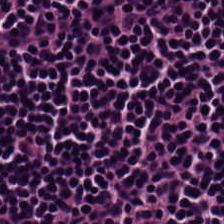Hematoxylin and eosin — Lymphocytic infiltrate.
